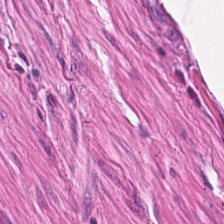Stain: H&E-stained tissue section.
Acquisition: WSI patch.
Resolution: 20× equivalent magnification.
Classification: muscularis.
